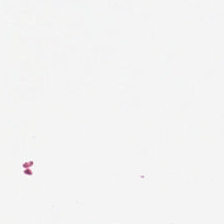No tissue present; background only.
